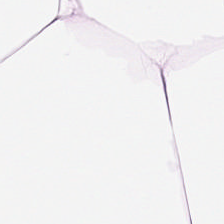H&E stain. The tissue class is fat tissue.
